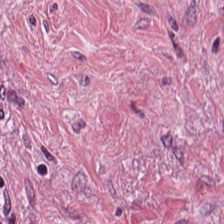H&E stain.
Finding → cancer-associated stroma.
